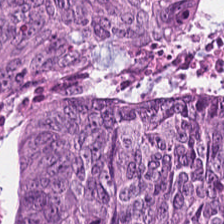H&E stain. Finding — colorectal adenocarcinoma epithelium.
